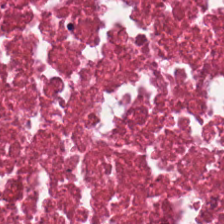H&E stain.
Q: Identify the tissue.
A: This is debris.
